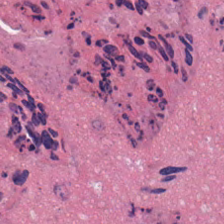Hematoxylin-and-eosin stained section.
Finding — cellular debris.
